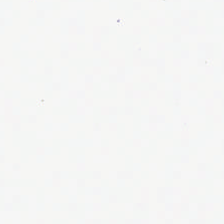No tissue.
